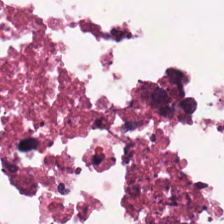Brightfield. H&E stain. 0.5 µm per pixel. Q: What is shown here?
A: Cellular debris.
